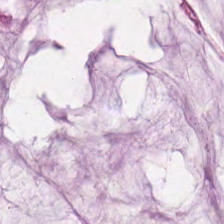H&E-stained tissue section — {"tissue_type": "extracellular mucin"}
